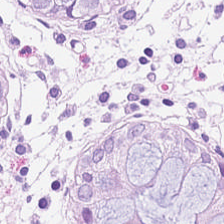Finding → normal colonic mucosa.
